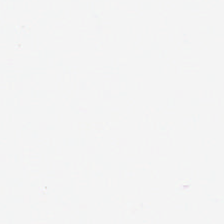Stain: H&E-stained tissue section.
Field content: background.
